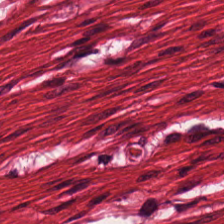Hematoxylin-and-eosin stained section.
This patch shows smooth-muscle tissue.
